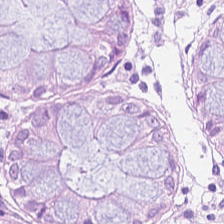H&E stain.
Impression — normal colonic mucosa.
